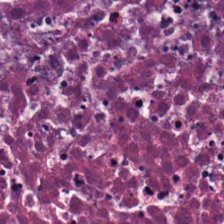224×224 px tile · 0.5 µm/px · hematoxylin and eosin. This field is cellular debris.
